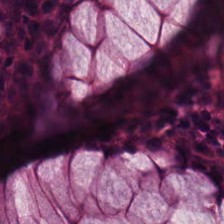Predominantly non-neoplastic colon mucosa.
